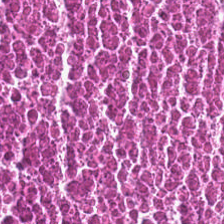H&E-stained tissue section. 224×224 pixel tile — {"tissue_type": "necrotic debris"}
